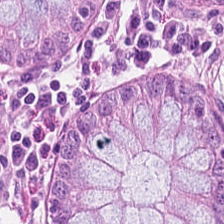Predominant tissue — benign colonic mucosa.
